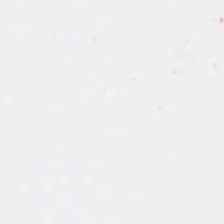Hematoxylin-and-eosin stained section.
Background — no tissue in this field.
